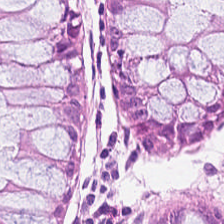H&E patch showing normal colonic mucosa.
